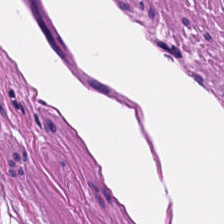Brightfield. Hematoxylin-and-eosin stained section. Q: What is shown here?
A: It is muscularis.
